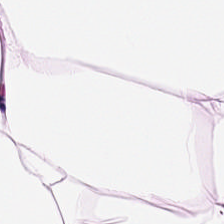Q: What is shown in this field?
A: Fat tissue.
